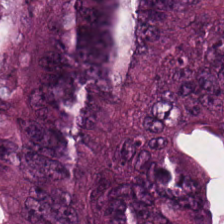The tissue here is colorectal adenocarcinoma.
